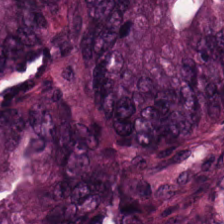Hematoxylin-and-eosin stained section.
Tissue = malignant epithelium.
